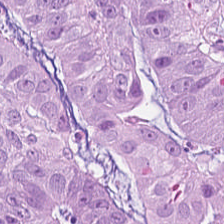Formalin-fixed paraffin-embedded section · H&E-stained tissue section · brightfield — Showing adenocarcinoma.
